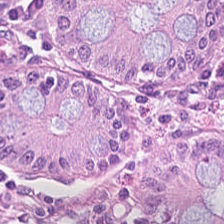Brightfield · hematoxylin and eosin.
Normal colonic mucosa.
